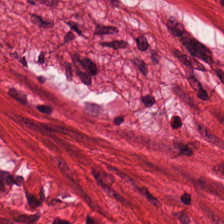H&E-stained tissue section — Tissue: muscularis.
